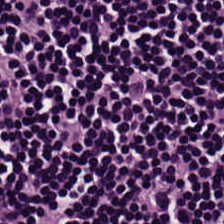Stain: H&E.
Tissue type: lymphocytes.
